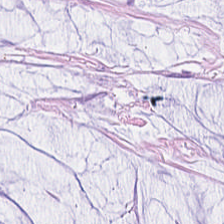H&E-stained tissue section · FFPE. {"tissue_type": "mucin"}
